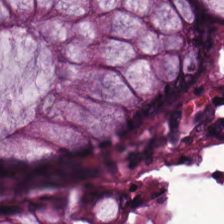Hematoxylin and eosin.
The predominant tissue is normal colonic mucosa.
